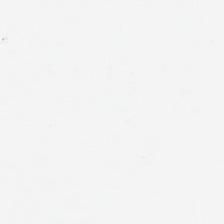H&E — Empty field — empty background.
